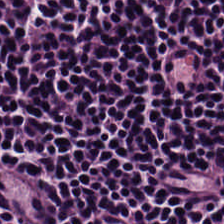This patch shows lymphocytes.
